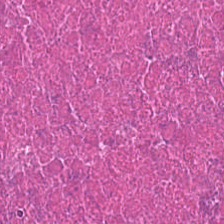H&E stain. Tissue — debris.
